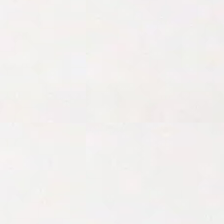0.5 µm/px · brightfield microscopy · H&E-stained tissue section — Background — no tissue in this field.
